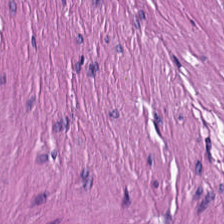WSI patch · H&E stain · FFPE.
Showing muscularis.
